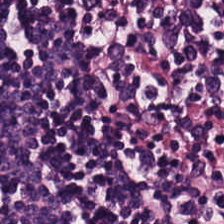H&E-stained tissue section · 20× equivalent magnification — Tissue class = lymphoid infiltrate.
